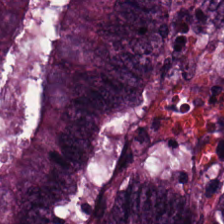Hematoxylin and eosin. Predominantly malignant epithelium.
